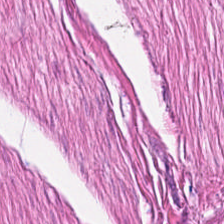0.5 µm/px; 224×224 px patch; H&E.
This patch shows smooth muscle.
